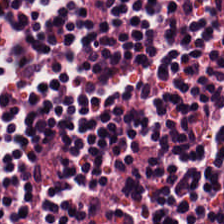0.5 µm per pixel; WSI patch; H&E-stained tissue section — {"tissue_type": "lymphocytes"}
